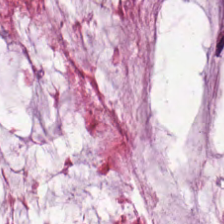H&E-stained tissue section.
Q: What does this patch show?
A: This is mucus.
